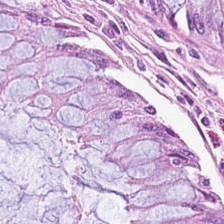H&E-stained tissue section · formalin-fixed paraffin-embedded section — The tissue type is normal colon mucosa.
